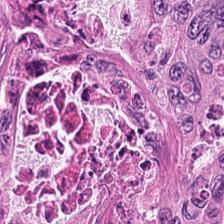H&E-stained tissue section.
{"tissue_type": "adenocarcinoma"}
